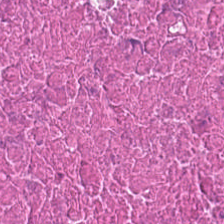Stain: hematoxylin and eosin.
Acquisition: brightfield.
Tissue class: debris.
